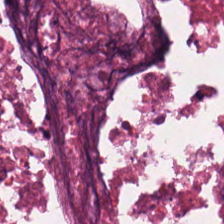0.5 µm/px. Formalin-fixed paraffin-embedded section. Hematoxylin and eosin — Tissue type: debris.
